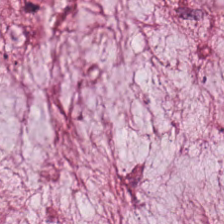Hematoxylin and eosin. {"tissue_type": "mucin"}
